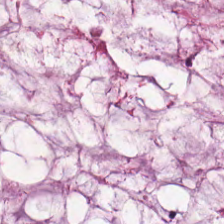Stain: H&E-stained tissue section.
Preparation: FFPE tissue section.
Tissue class: mucus.
